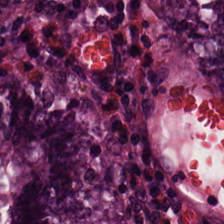0.5 µm/px. Hematoxylin and eosin. 224×224 pixel tile — Showing normal colon mucosa.
